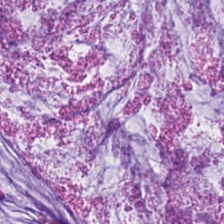H&E-stained tissue section — Showing mucin.
